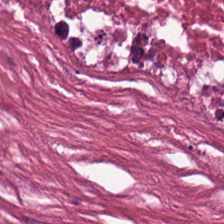20× equivalent magnification; brightfield; H&E-stained tissue section. Debris.
